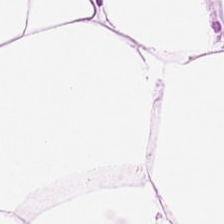Hematoxylin-and-eosin stained section — Showing adipose tissue.
